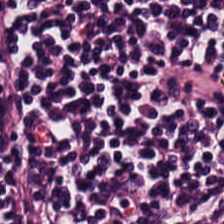H&E stain — The tissue here is lymphocytes.
